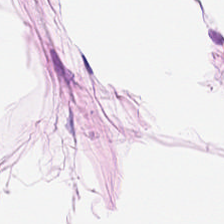Q: What type of tissue is this?
A: It is adipose.
